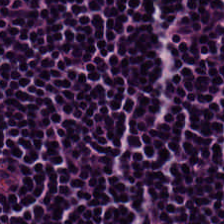Hematoxylin-and-eosin stained section. FFPE tissue section. 224×224 pixel tile.
Predominant tissue: lymphocytic infiltrate.
